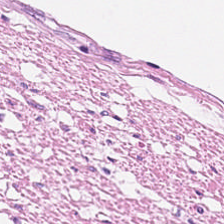Formalin-fixed paraffin-embedded section. H&E stain. 0.5 microns per pixel — Q: What does this patch show?
A: Smooth muscle.
